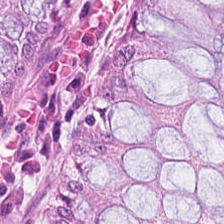Whole-slide-image patch · hematoxylin and eosin. The tissue type is normal colonic mucosa.
